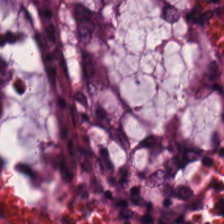H&E-stained tissue section. 224×224 px tile. Whole-slide-image patch — Predominant tissue = normal colon mucosa.
